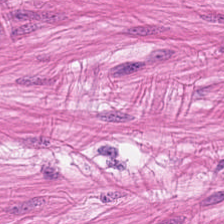Tissue type = muscularis.
